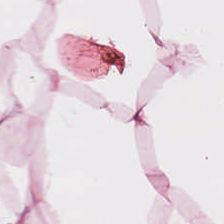Hematoxylin and eosin · formalin-fixed paraffin-embedded section · 0.5 µm/px.
This field is adipose.
